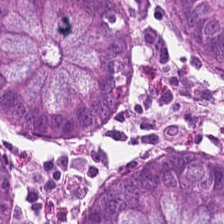FFPE. Hematoxylin and eosin.
The predominant tissue is benign colonic mucosa.
